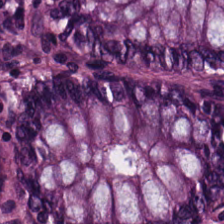FFPE tissue section; H&E — {"tissue_type": "non-neoplastic colon mucosa"}
